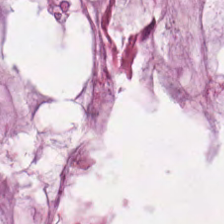FFPE tissue section. H&E.
The tissue class is mucin.
